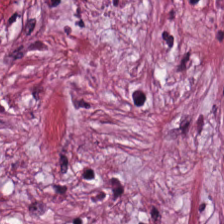H&E-stained tissue section showing cancer-associated stroma.
